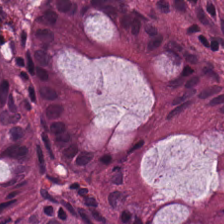Showing benign colonic mucosa.
